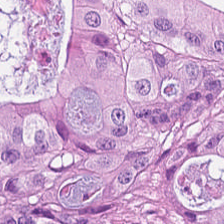H&E. Showing adenocarcinoma.
